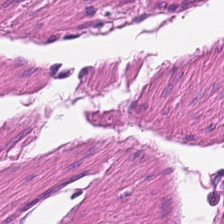{"tissue_type": "muscularis"}
